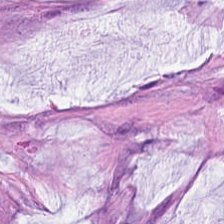224×224 px patch · H&E.
This field is mucus.
